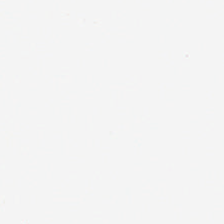224×224 px patch; H&E-stained tissue section — Finding — no tissue.
